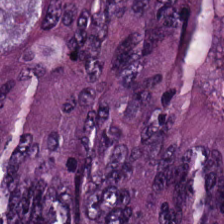H&E-stained section; the field shows colorectal adenocarcinoma.
